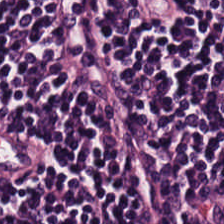H&E stain — The tissue is lymphocytic infiltrate.
